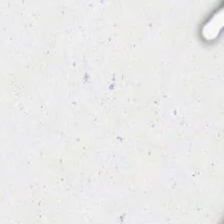FFPE · whole-slide-image patch · H&E stain. This patch shows empty background.
